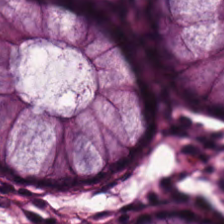WSI patch. Hematoxylin and eosin. 0.5 µm per pixel — Classification — benign colonic mucosa.
